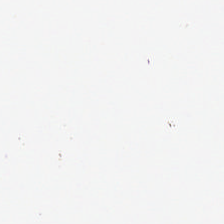Stain: H&E.
Classification: no tissue.
